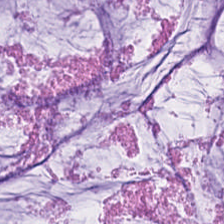0.5 µm/px. H&E. Showing extracellular mucin.
